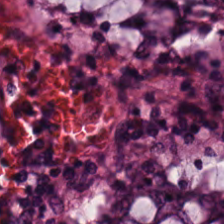H&E-stained tissue section. Tissue — normal colonic mucosa.
